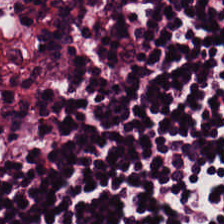Brightfield; H&E-stained tissue section; 0.5 microns per pixel. Predominantly lymphocyte aggregate.
